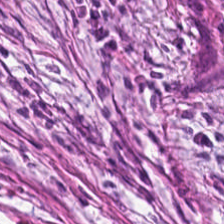Finding — cancer-associated stroma.
